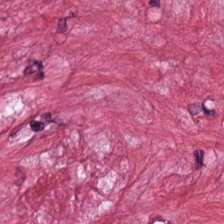Hematoxylin-and-eosin stained section. {"tissue_type": "tumor-associated stroma"}
